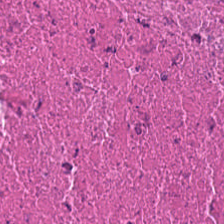Stain: hematoxylin and eosin.
Classification: cellular debris.
